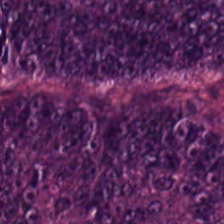Stain: hematoxylin-and-eosin stained section.
Preparation: formalin-fixed paraffin-embedded section.
Tissue type: adenocarcinoma.
